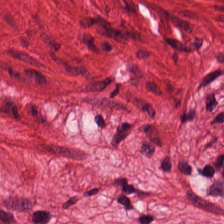Stain: hematoxylin and eosin.
Tissue: muscularis.
